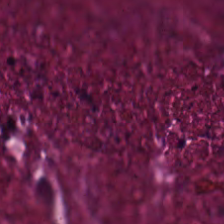H&E-stained tissue section.
Finding → cellular debris.
